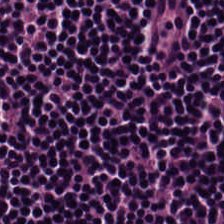Hematoxylin-and-eosin stained section. Brightfield.
Q: What type of tissue is this?
A: This is lymphocytic infiltrate.
